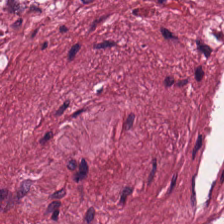Stain: H&E-stained tissue section.
Tissue class: desmoplastic stroma.
